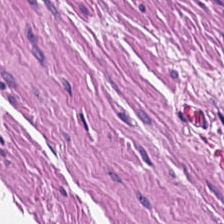Brightfield. H&E stain.
Showing smooth-muscle tissue.
